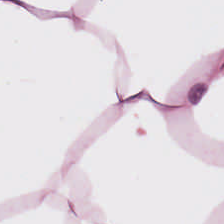Hematoxylin-and-eosin stained section.
Showing adipose tissue.
